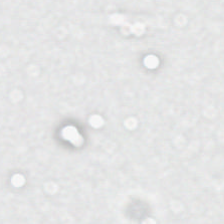Hematoxylin and eosin. FFPE tissue section.
This patch shows no tissue.
